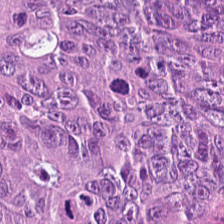H&E-stained tissue section — The tissue class is colorectal adenocarcinoma epithelium.
